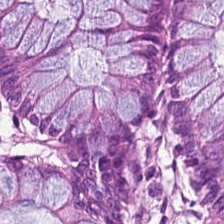Classification — benign colonic mucosa.
